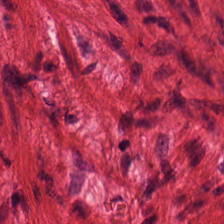20× equivalent magnification; 224×224 pixel tile; hematoxylin and eosin.
This field is muscularis.
